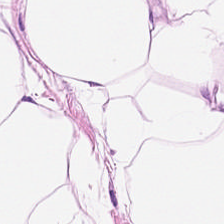Hematoxylin-and-eosin stained section; 224×224 px tile — Showing fat tissue.
